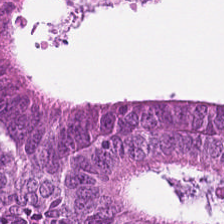Stain: H&E stain.
Tissue: malignant epithelium.
